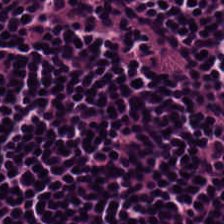Hematoxylin and eosin · FFPE tissue section.
Predominant tissue: lymphocytes.
